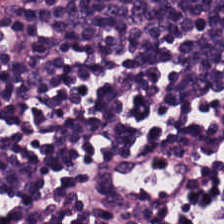224×224 px patch. H&E stain.
Showing lymphocytes.
